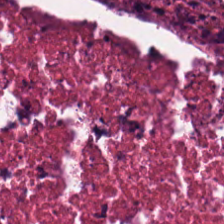H&E.
Cellular debris.
